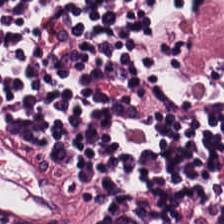H&E-stained tissue section. 0.5 microns per pixel.
The tissue type is lymphocytic infiltrate.
